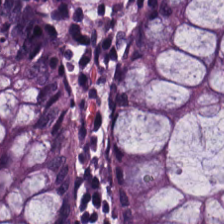Hematoxylin-and-eosin stained section · whole-slide-image patch.
Q: Classify this patch.
A: The field shows normal colonic mucosa.
